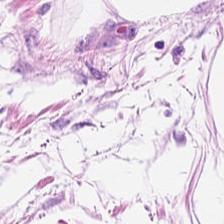Formalin-fixed paraffin-embedded section. H&E — This field is adipose.
